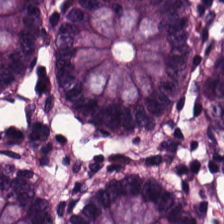H&E. {"tissue_type": "normal colon mucosa"}
